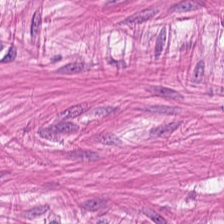0.5 microns per pixel; hematoxylin and eosin — The classification is muscularis.
